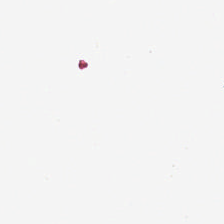H&E-stained tissue section; FFPE tissue section. Background — no tissue in this field.
